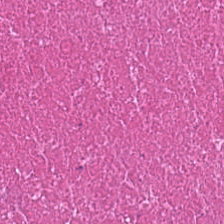H&E · 0.5 µm per pixel.
Q: What does this patch show?
A: The field shows cellular debris.
